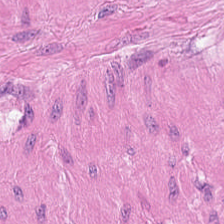H&E stain. Smooth muscle.
